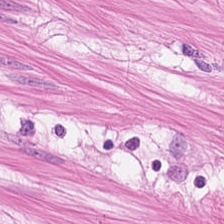Hematoxylin and eosin — Predominant tissue — smooth-muscle tissue.
